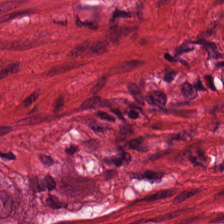Hematoxylin-and-eosin stained section. Muscularis.
